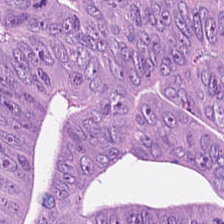Hematoxylin-and-eosin stained section — The classification is adenocarcinoma.
